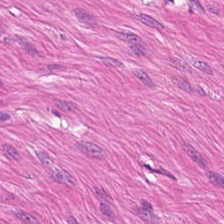Hematoxylin and eosin · 224×224 px patch — This patch shows muscularis.
